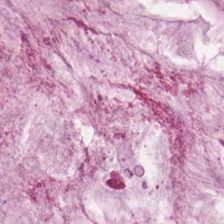224×224 px patch. Hematoxylin-and-eosin stained section. WSI patch. The tissue here is mucus.
